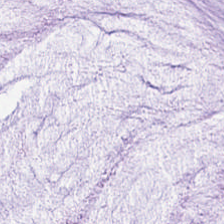Hematoxylin and eosin. The predominant tissue is mucus.
